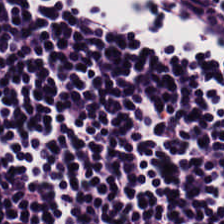Hematoxylin and eosin. Q: What is shown here?
A: This is lymphoid infiltrate.
